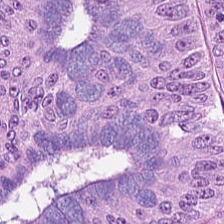Predominant tissue: colorectal adenocarcinoma.
